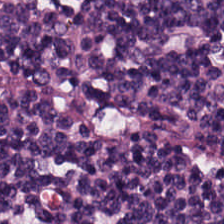20× equivalent magnification; hematoxylin-and-eosin stained section; formalin-fixed paraffin-embedded section.
Predominantly lymphoid infiltrate.
